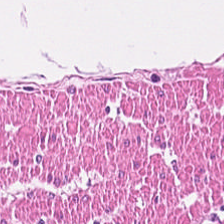Stain: hematoxylin-and-eosin stained section.
Tissue class: muscularis.
